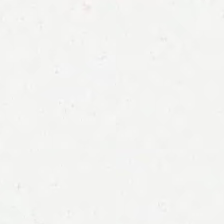Hematoxylin-and-eosin stained section. Q: What is shown here?
A: The field shows background.
